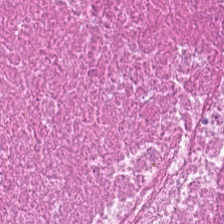Q: What does this patch show?
A: It is debris.
